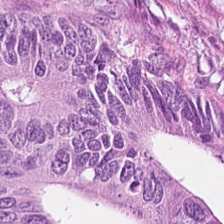H&E stain. Tissue class — tumor epithelium.
